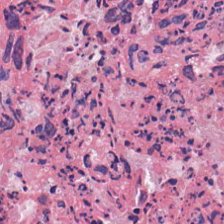20× equivalent magnification · FFPE · hematoxylin-and-eosin stained section.
The tissue here is debris.
